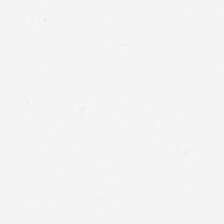H&E-stained tissue section. FFPE. WSI patch.
Finding → empty background.
